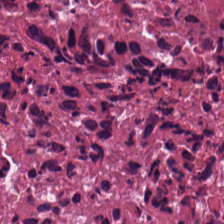H&E stain. 224×224 px patch. 0.5 µm/px — Q: What does this patch show?
A: The field shows debris.
